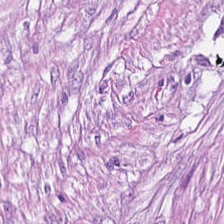Tissue type — cancer-associated stroma.
